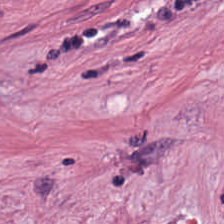Whole-slide-image patch; H&E-stained tissue section. {"tissue_type": "tumor stroma"}
